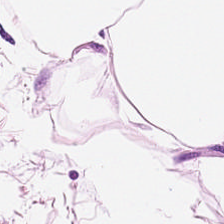{"tissue_type": "adipose"}
